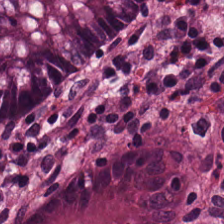Hematoxylin and eosin; 0.5 microns per pixel.
This field is non-neoplastic colon mucosa.
